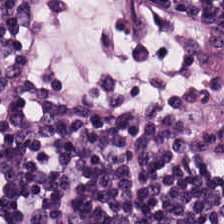This patch shows lymphocytes.
